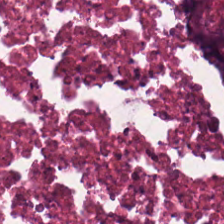Hematoxylin and eosin. FFPE tissue section — Histology → debris.
